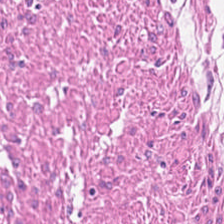Whole-slide-image patch; 224×224 pixel tile; hematoxylin-and-eosin stained section. Classification — muscularis.
